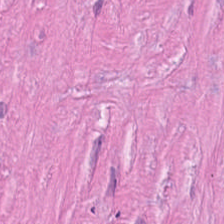Stain: H&E stain.
Tile size: 224×224 px tile.
Classification: tumor-associated stroma.
